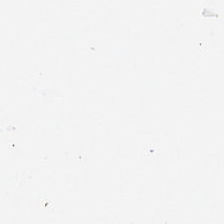Empty field — background.
